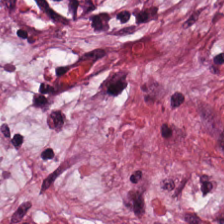Hematoxylin and eosin.
{"tissue_type": "desmoplastic stroma"}
